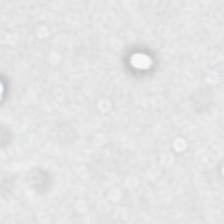H&E; 224×224 px tile — Q: What does this patch show?
A: Background (no tissue).
